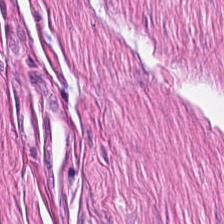Hematoxylin and eosin; 224×224 px tile; brightfield.
The tissue here is muscularis.
